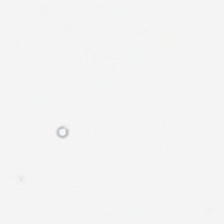Q: What is shown in this field?
A: No tissue.
